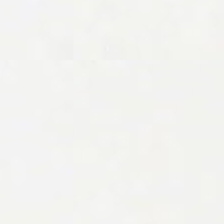Classification = no tissue.
